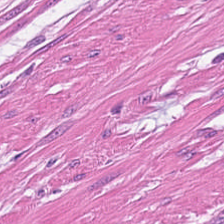The predominant tissue is smooth muscle.
